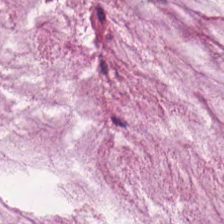0.5 µm/px; H&E stain; WSI patch. Q: What type of tissue is this?
A: Mucus.
